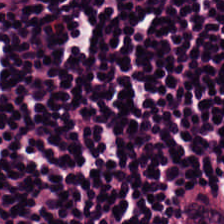Hematoxylin and eosin · 224×224 px tile.
Finding → lymphocytes.
